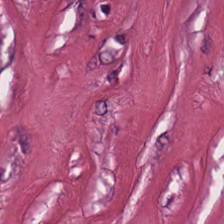Hematoxylin-and-eosin section: desmoplastic stroma.
